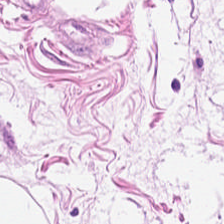0.5 microns per pixel; hematoxylin-and-eosin stained section — Q: What tissue type is shown here?
A: This is fat tissue.
